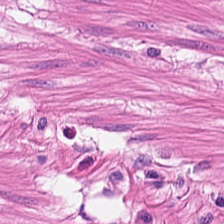224×224 px patch. H&E stain. Tissue — smooth muscle.
